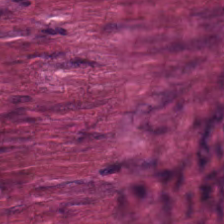Whole-slide-image patch. 224×224 px patch. H&E-stained tissue section — Histology → cancer-associated stroma.
